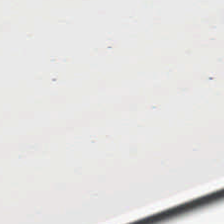H&E-stained tissue section.
This patch shows empty background.
